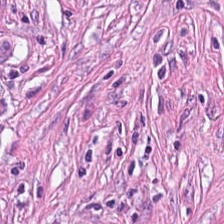H&E stain. Predominantly cancer-associated stroma.
